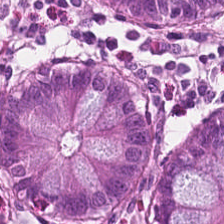Hematoxylin and eosin.
Showing normal colonic mucosa.
